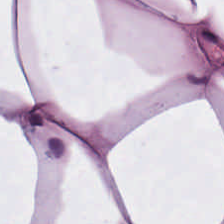H&E-stained tissue section. FFPE tissue section. 0.5 µm/px.
Tissue class: adipose tissue.
